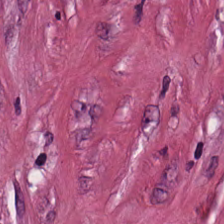Hematoxylin and eosin. The tissue here is tumor stroma.
